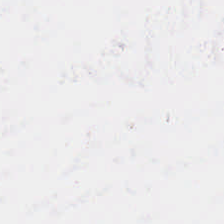H&E · 224×224 px tile. Q: What is shown here?
A: It is background.
